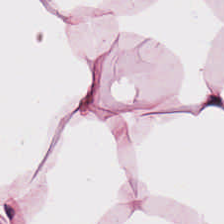Predominantly adipose tissue.
